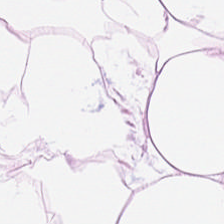H&E stain — This field is adipose.
